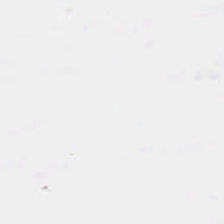H&E-stained tissue section. Q: Classify this patch.
A: Empty background.
